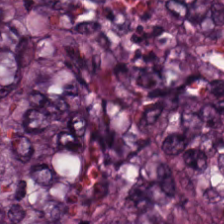Q: What type of tissue is this?
A: It is malignant epithelium.
